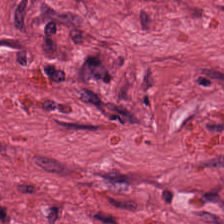Stain: H&E-stained tissue section.
Predominant tissue: tumor-associated stroma.
